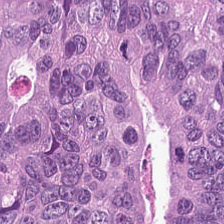Q: What tissue is shown?
A: Malignant epithelium.
